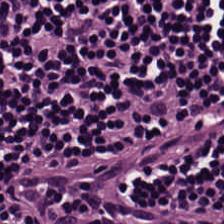H&E stain · formalin-fixed paraffin-embedded section — Q: Classify this patch.
A: The field shows lymphocytes.
